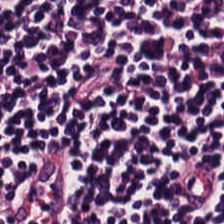224×224 pixel tile; H&E-stained tissue section — Q: What is the predominant tissue type?
A: The field shows lymphocyte aggregate.
